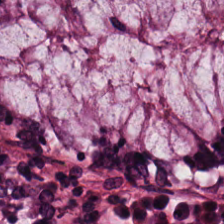Stain: H&E.
Classification: normal colon mucosa.
